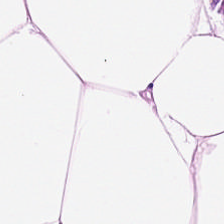224×224 px patch. H&E. Formalin-fixed paraffin-embedded section.
Adipose tissue.
